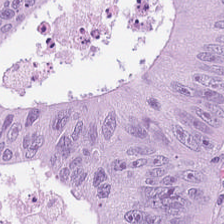Hematoxylin and eosin · FFPE · 224×224 pixel tile. Finding → adenocarcinoma.
